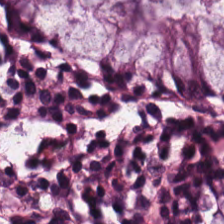Brightfield microscopy; H&E; 0.5 µm/px.
Finding → benign colonic mucosa.
